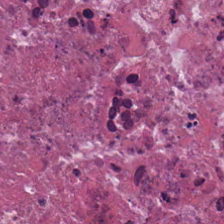H&E — Q: What is the predominant tissue type?
A: It is necrotic debris.
